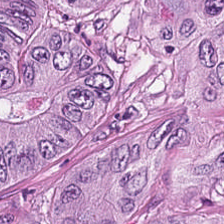224×224 px patch; FFPE tissue section; H&E-stained tissue section.
Finding — malignant epithelium.
